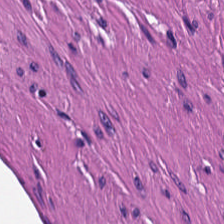{"tissue_type": "smooth muscle"}
